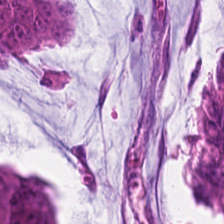Colorectal adenocarcinoma.
